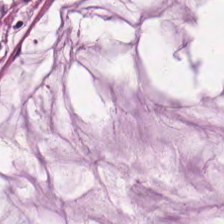Histology → mucus.
